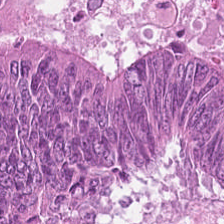Stain: H&E stain.
Resolution: 0.5 µm per pixel.
Tissue: adenocarcinoma.
